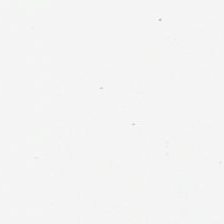H&E; WSI patch.
Field content = background.
